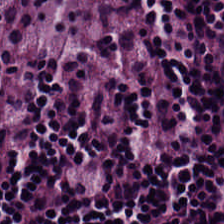H&E-stained tissue section. Predominant tissue: lymphocyte aggregate.
